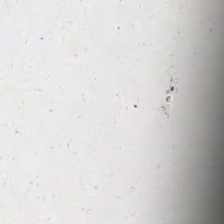Empty background.
